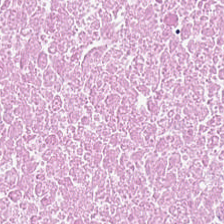Hematoxylin and eosin. 224×224 pixel tile. 0.5 microns per pixel.
{"tissue_type": "cellular debris"}
